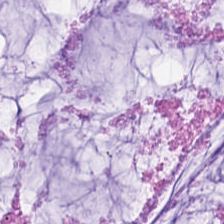H&E stain · 0.5 µm/px. Classification: extracellular mucin.
